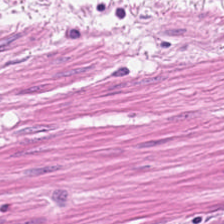H&E-stained tissue section. FFPE tissue section — The predominant tissue is muscularis.
